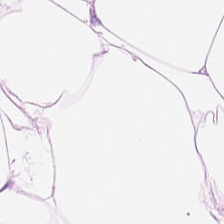Hematoxylin-and-eosin stained section. This patch shows adipose.
